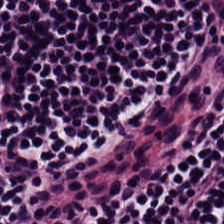Brightfield microscopy; formalin-fixed paraffin-embedded section; H&E-stained tissue section. Tissue type — lymphocytic infiltrate.
